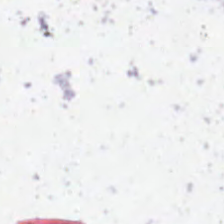224×224 pixel tile · 0.5 microns per pixel · H&E-stained tissue section. Field content — empty background.
